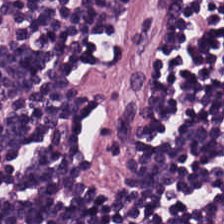H&E-stained tissue section showing lymphocyte aggregate.
